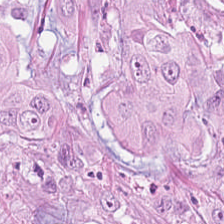FFPE · hematoxylin and eosin · brightfield.
Predominantly malignant epithelium.
